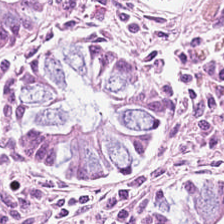H&E.
Q: What type of tissue is this?
A: Benign colonic mucosa.
